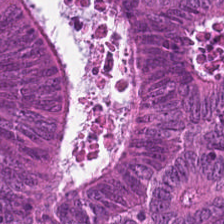Hematoxylin and eosin.
Tissue class: colorectal adenocarcinoma epithelium.
